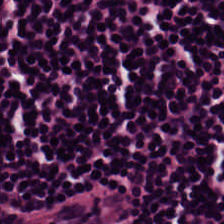Hematoxylin-and-eosin stained section. Tissue class: lymphocytic infiltrate.
